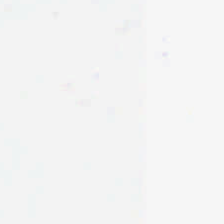H&E.
Finding — background.
